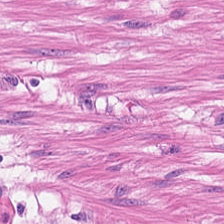Hematoxylin-and-eosin stained section. Predominant tissue: muscularis.
